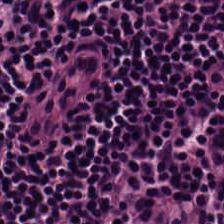This patch shows lymphoid infiltrate.
